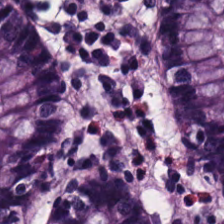H&E stain. Q: What does this patch show?
A: The field shows normal colonic mucosa.
